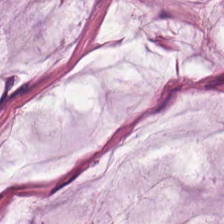This patch shows mucus.
